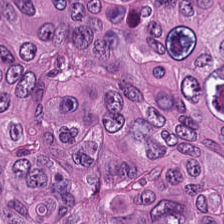224×224 px tile; H&E-stained tissue section.
The tissue is adenocarcinoma.
